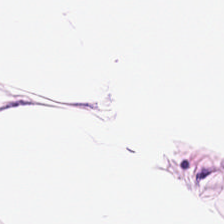Predominantly adipose.
